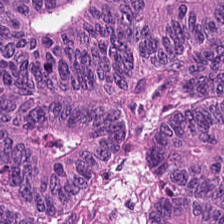H&E-stained tissue section.
Showing tumor epithelium.
